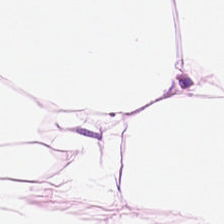H&E stain. This field is adipose.
